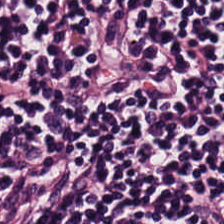Showing lymphocytes.
